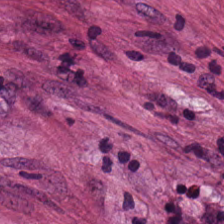Hematoxylin and eosin. Whole-slide-image patch.
Tissue class — tumor-associated stroma.
